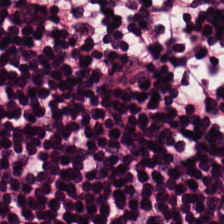Hematoxylin-and-eosin stained section. 20× equivalent magnification. Finding — lymphocytic infiltrate.
